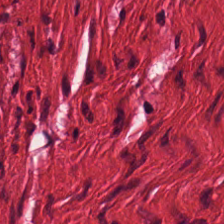Hematoxylin-and-eosin stained section — This patch shows muscularis.
